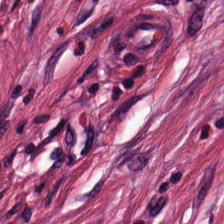FFPE; H&E-stained tissue section. Showing cancer-associated stroma.
